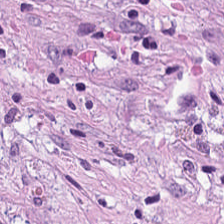H&E patch showing desmoplastic stroma.
